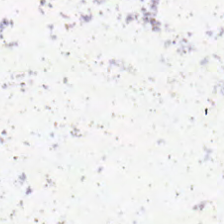This field is background (no tissue).
